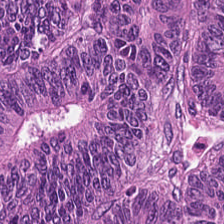0.5 µm/px · H&E — Tissue = tumor epithelium.
